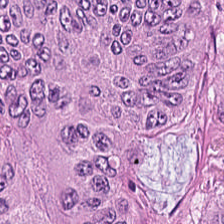Colorectal adenocarcinoma epithelium.
